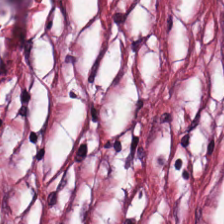20× equivalent magnification. H&E-stained tissue section. Predominant tissue — desmoplastic stroma.
